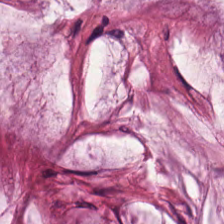Formalin-fixed paraffin-embedded section · hematoxylin-and-eosin stained section.
The tissue class is mucin.
